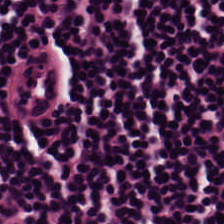224×224 px tile; H&E-stained tissue section — Q: Identify the tissue.
A: The field shows lymphocytes.
